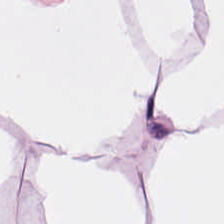H&E · FFPE tissue section. {"tissue_type": "fat tissue"}
